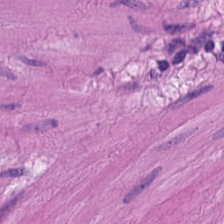Stain: H&E stain.
Classification: smooth-muscle tissue.
